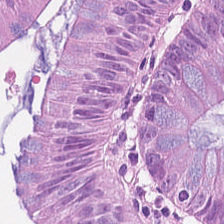FFPE tissue section · hematoxylin and eosin. This patch shows tumor epithelium.
